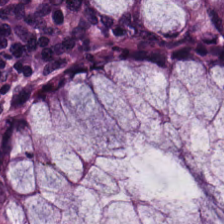Finding — normal colonic mucosa.
